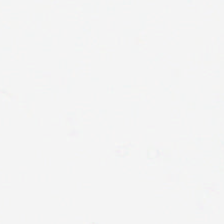Histology → empty background.
